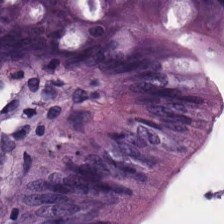H&E-stained tissue section showing normal colonic mucosa.
